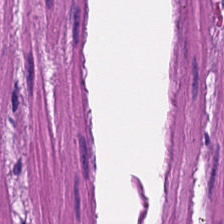Formalin-fixed paraffin-embedded section; hematoxylin-and-eosin stained section — Q: Classify this patch.
A: The field shows smooth muscle.
